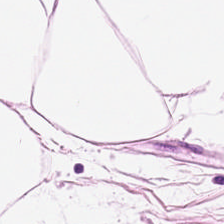Stain: H&E-stained tissue section.
Tissue type: fat tissue.
